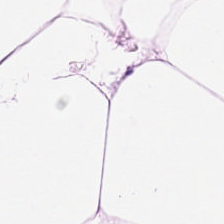Predominant tissue: fat tissue.
